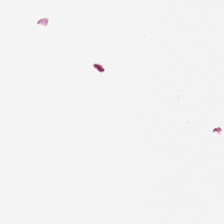H&E-stained tissue section.
Classification: empty background.
